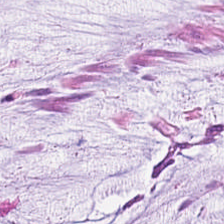Hematoxylin and eosin — Tissue — mucus.
